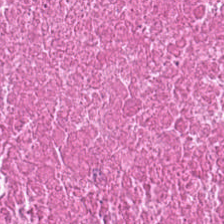Hematoxylin-and-eosin stained section.
Tissue class = cellular debris.
